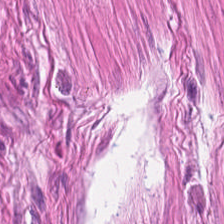0.5 µm/px. H&E stain. Brightfield microscopy — Tissue — smooth-muscle tissue.
